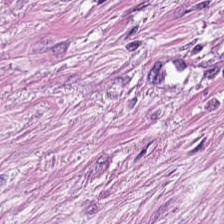Stain: H&E-stained tissue section.
Predominant tissue: desmoplastic stroma.
